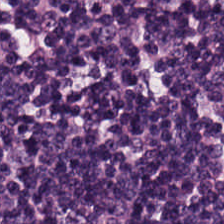20× equivalent magnification. WSI patch. H&E stain — The predominant tissue is lymphocytes.
